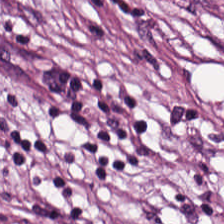Q: What tissue type is shown here?
A: The field shows cancer-associated stroma.
